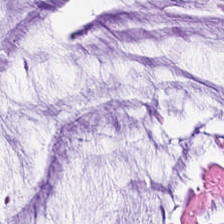Mucin.
